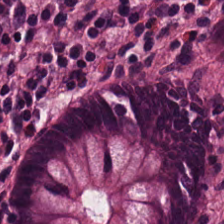Hematoxylin-and-eosin stained section. 20× equivalent magnification. Q: Classify this patch.
A: The field shows benign colonic mucosa.
